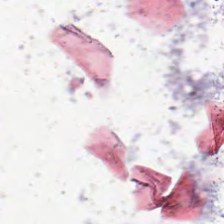H&E-stained tissue section — Q: What is shown here?
A: It is no tissue.
